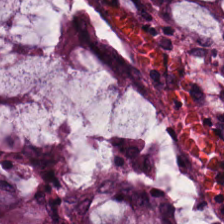Hematoxylin and eosin. 0.5 µm per pixel. 224×224 px patch. The tissue here is normal colon mucosa.
